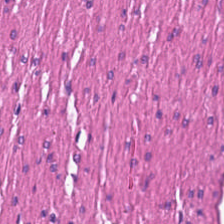Hematoxylin-and-eosin stained section. FFPE tissue section. 224×224 px patch. Finding — smooth muscle.
